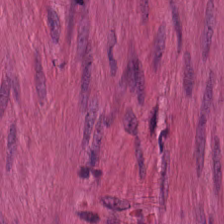Hematoxylin and eosin — This patch shows muscularis.
